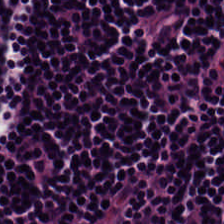Brightfield microscopy; H&E stain. The predominant tissue is lymphoid infiltrate.
